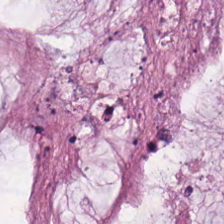224×224 pixel tile; 0.5 µm per pixel; H&E — Showing mucus.
